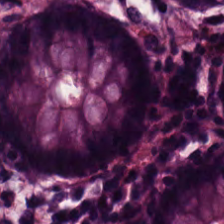Hematoxylin-and-eosin section: normal colonic mucosa.
